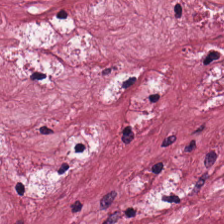Stain: H&E stain.
Acquisition: WSI patch.
Preparation: FFPE tissue section.
Tissue type: cancer-associated stroma.
